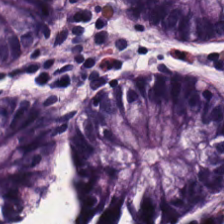Hematoxylin and eosin.
Showing benign colonic mucosa.
